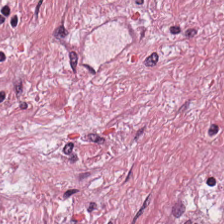H&E — The classification is tumor stroma.
